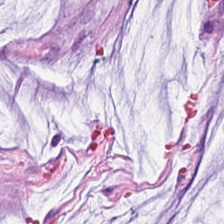This patch shows mucin.
